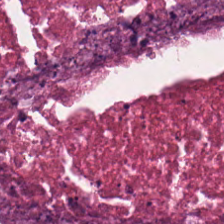H&E. Q: What is shown here?
A: It is cellular debris.
